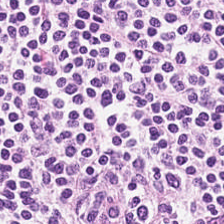H&E · FFPE · whole-slide-image patch — The tissue here is lymphocyte aggregate.
